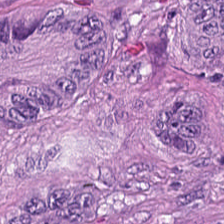H&E-stained tissue section — This patch shows adenocarcinoma.
